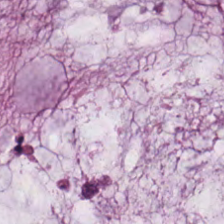H&E-stained tissue section. Tissue — mucus.
